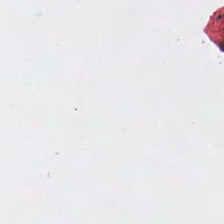Hematoxylin-and-eosin stained section.
{"content": "background (no tissue)"}
